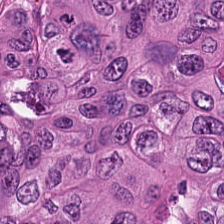Stain: hematoxylin and eosin.
Tissue: colorectal adenocarcinoma.
